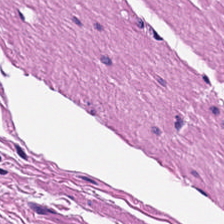Stain: H&E.
Tissue type: smooth-muscle tissue.
